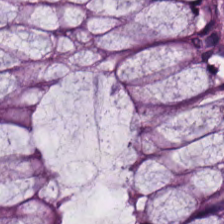H&E. Predominantly benign colonic mucosa.
